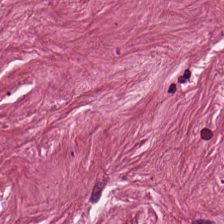H&E stain · 224×224 pixel tile. Finding — tumor stroma.
